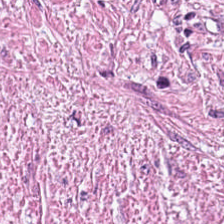Brightfield · hematoxylin and eosin — Predominant tissue = desmoplastic stroma.
